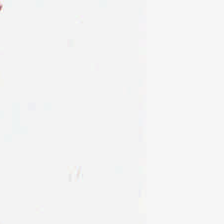H&E. 20× equivalent magnification. Formalin-fixed paraffin-embedded section.
Q: What is shown here?
A: This is background.
